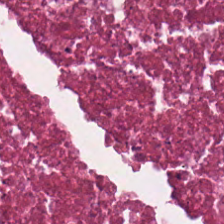Q: What is shown here?
A: This is debris.
